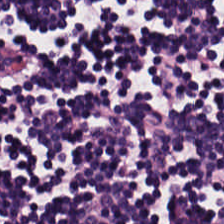H&E-stained tissue section. FFPE tissue section. Lymphocyte aggregate.
